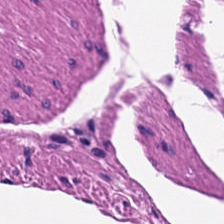Stain: H&E-stained tissue section.
Resolution: 0.5 µm/px.
Preparation: formalin-fixed paraffin-embedded section.
Tissue type: muscularis.
